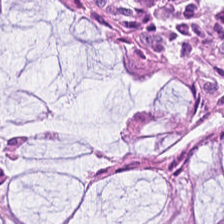Impression — normal colon mucosa.
